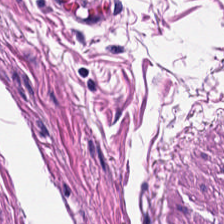Stain: H&E-stained tissue section.
Tissue type: smooth-muscle tissue.
